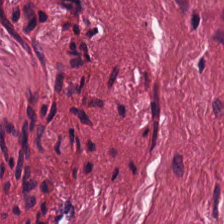The predominant tissue is tumor-associated stroma.
